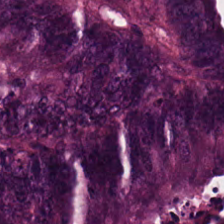H&E. This field is colorectal adenocarcinoma.
